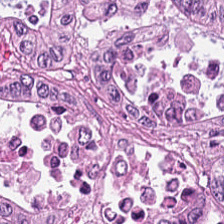FFPE tissue section · hematoxylin-and-eosin stained section · 224×224 pixel tile. Tissue class = colorectal adenocarcinoma epithelium.
